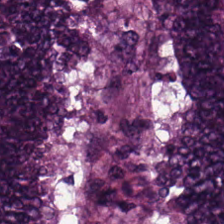The tissue type is tumor epithelium.
